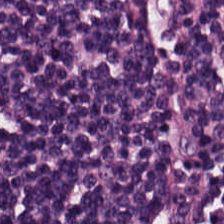Q: What is the predominant tissue type?
A: Lymphoid infiltrate.
